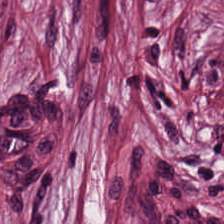Predominantly tumor stroma.
